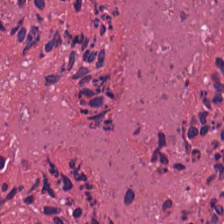Hematoxylin-and-eosin stained section; FFPE tissue section; 20× equivalent magnification. Classification = debris.
